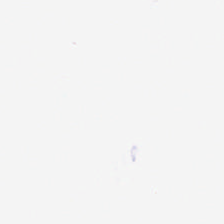Hematoxylin and eosin. Brightfield microscopy — This patch shows empty background.
